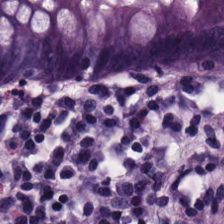WSI patch · H&E. This patch shows normal colonic mucosa.
